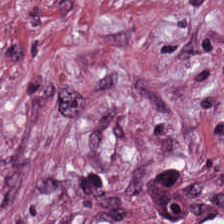Hematoxylin-and-eosin section: desmoplastic stroma.
